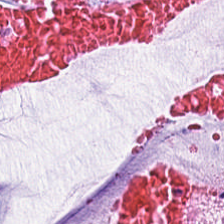Hematoxylin and eosin. The predominant tissue is mucin.
